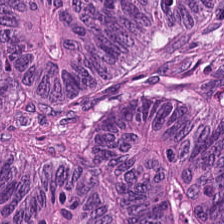Colorectal adenocarcinoma.
